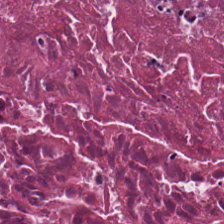H&E stain — Predominantly debris.
